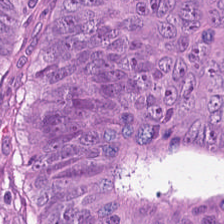224×224 px tile. 0.5 microns per pixel. Hematoxylin and eosin — Tissue type = tumor epithelium.
